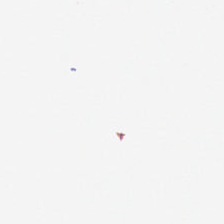H&E stain; formalin-fixed paraffin-embedded section.
Impression — background.
